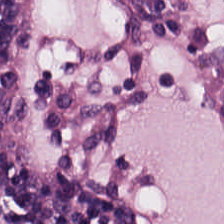Hematoxylin-and-eosin stained section. 0.5 microns per pixel — Lymphoid infiltrate.
